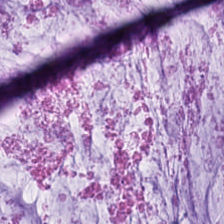Formalin-fixed paraffin-embedded section. Hematoxylin and eosin. The tissue is mucin.
